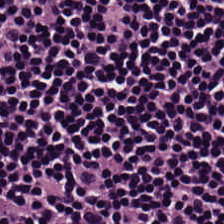0.5 µm/px · hematoxylin and eosin — Q: What tissue type is shown here?
A: The field shows lymphocytes.
